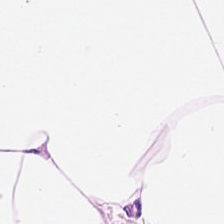Brightfield microscopy · hematoxylin-and-eosin stained section. {"tissue_type": "adipose"}
